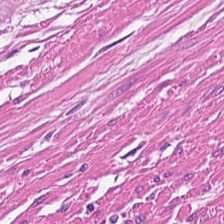H&E stain — This field is muscularis.
